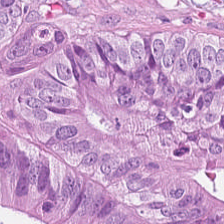0.5 µm per pixel; H&E stain.
Q: What is the predominant tissue type?
A: It is adenocarcinoma.
